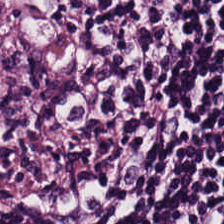Hematoxylin and eosin. Tissue = lymphoid infiltrate.
